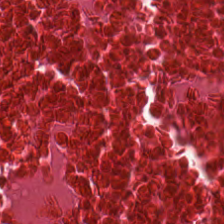WSI patch. H&E stain. This patch shows debris.
